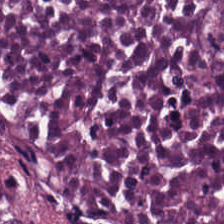This patch shows necrotic debris.
